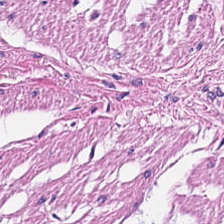H&E stain.
{"tissue_type": "muscularis"}
